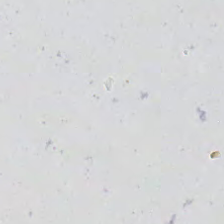Histology — no tissue.
